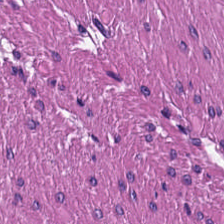H&E-stained section; the field shows muscularis.
